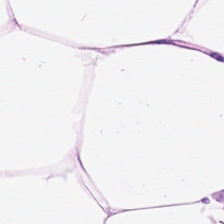Stain: hematoxylin and eosin.
Tile size: 224×224 px tile.
Tissue class: fat tissue.
